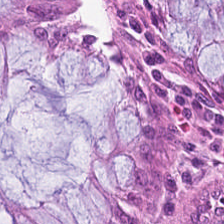{"tissue_type": "normal colon mucosa"}
